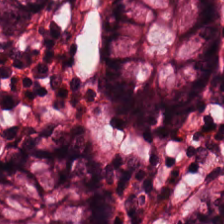Formalin-fixed paraffin-embedded section · H&E stain — Classification — benign colonic mucosa.
